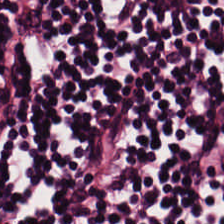Histology — lymphocytic infiltrate.
